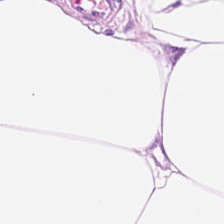Formalin-fixed paraffin-embedded section; hematoxylin-and-eosin stained section; 224×224 px tile.
Q: What tissue type is shown here?
A: The field shows fat tissue.
